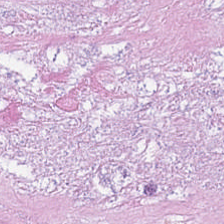Hematoxylin and eosin — Impression — necrotic debris.
